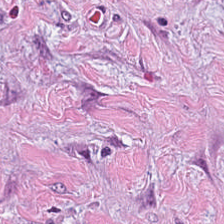H&E. This patch shows desmoplastic stroma.
